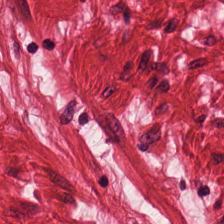H&E-stained tissue section. FFPE tissue section. 20× equivalent magnification.
Tissue class = smooth-muscle tissue.
